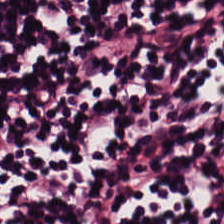224×224 pixel tile · hematoxylin-and-eosin stained section — This patch shows lymphocytes.
